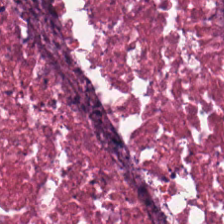H&E-stained section; the field shows debris.
